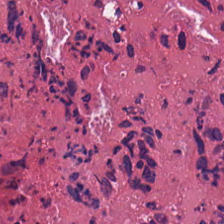Hematoxylin-and-eosin stained section. 224×224 px patch.
Q: What tissue type is shown here?
A: It is debris.
